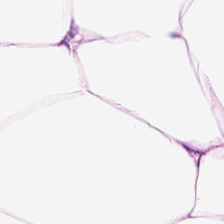H&E — adipocytes.
